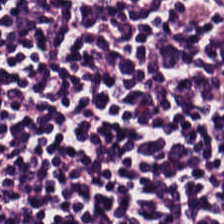H&E stain; 0.5 µm per pixel — Impression — lymphocytic infiltrate.
